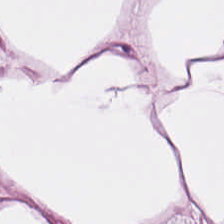H&E.
The classification is fat tissue.
